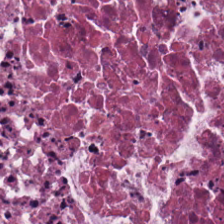Impression → necrotic debris.
